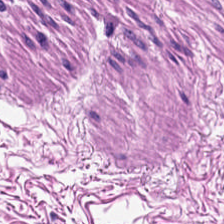H&E-stained tissue section · FFPE tissue section · 224×224 pixel tile — Impression — smooth-muscle tissue.
